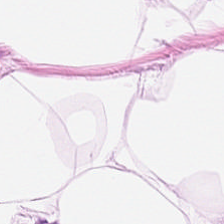224×224 px patch. 20× equivalent magnification. H&E — Fat tissue.
